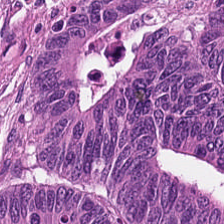224×224 pixel tile; whole-slide-image patch; hematoxylin-and-eosin stained section — Tissue — colorectal adenocarcinoma.
